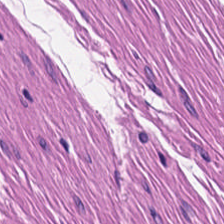Stain: hematoxylin-and-eosin stained section.
Resolution: 0.5 µm/px.
Tissue type: smooth muscle.
